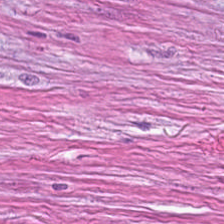224×224 pixel tile; H&E-stained tissue section. This patch shows tumor-associated stroma.
